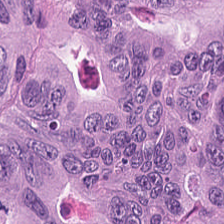0.5 µm/px. H&E. The predominant tissue is colorectal adenocarcinoma.
